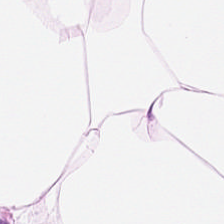H&E stain · 0.5 µm per pixel. The tissue class is fat tissue.
